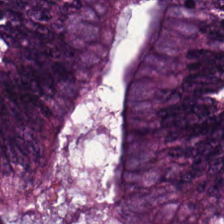Stain: H&E.
Tissue class: adenocarcinoma.
